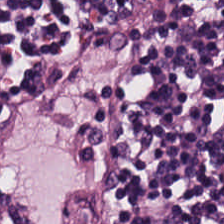Formalin-fixed paraffin-embedded section; H&E — Q: What does this patch show?
A: Lymphocyte aggregate.
